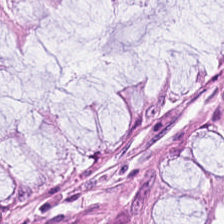0.5 µm per pixel. H&E-stained tissue section.
Q: What does this patch show?
A: It is normal colon mucosa.
